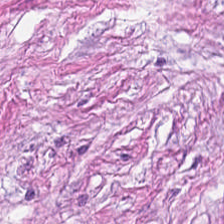H&E — Q: Identify the tissue.
A: This is desmoplastic stroma.
